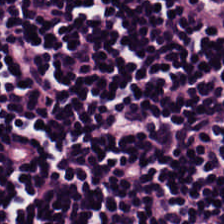H&E — Showing lymphocyte aggregate.
